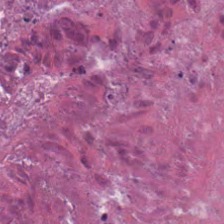Stain: hematoxylin-and-eosin stained section.
Preparation: formalin-fixed paraffin-embedded section.
Tissue class: necrotic debris.
